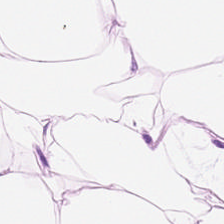Hematoxylin-and-eosin stained section — The tissue class is fat tissue.
